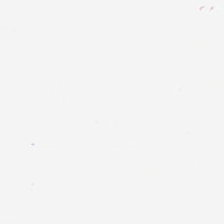Hematoxylin-and-eosin stained section.
Q: Classify this patch.
A: The field shows background (no tissue).
